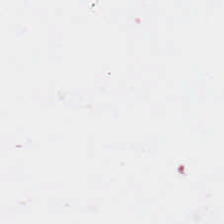Stain: hematoxylin-and-eosin stained section.
Field content: empty background.
